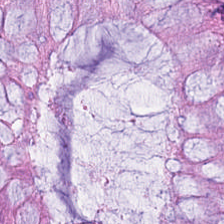Hematoxylin and eosin; 224×224 pixel tile. Impression — benign colonic mucosa.
